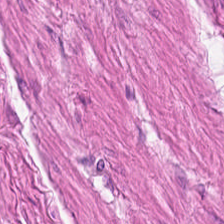224×224 pixel tile. H&E stain. Tissue class = smooth-muscle tissue.
